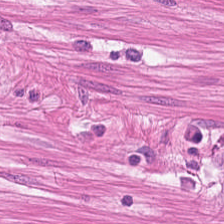Q: What is the predominant tissue type?
A: The field shows smooth muscle.
